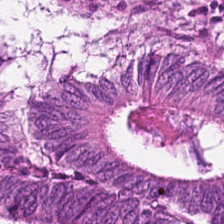0.5 µm/px. H&E. WSI patch.
Showing tumor epithelium.
